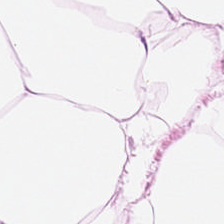H&E. 224×224 px patch. Impression — adipose.
